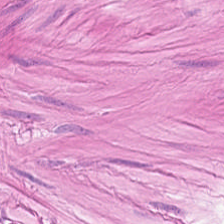H&E-stained tissue section — Q: What is shown in this field?
A: The field shows smooth-muscle tissue.
